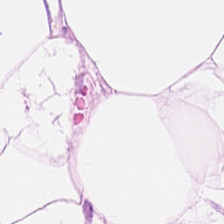H&E-stained tissue section; brightfield — Q: What is the predominant tissue type?
A: The field shows adipocytes.
